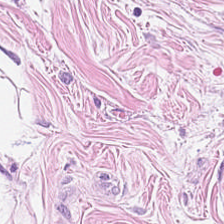224×224 px patch; hematoxylin-and-eosin stained section — Classification — adipose.
